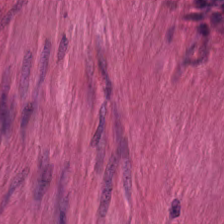Hematoxylin-and-eosin stained section · FFPE tissue section — Classification: smooth-muscle tissue.
